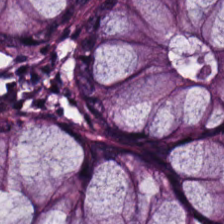Hematoxylin and eosin.
Showing normal colon mucosa.
